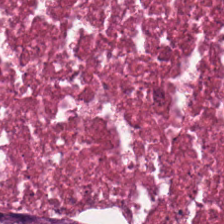Stain: hematoxylin and eosin.
Tissue type: debris.
